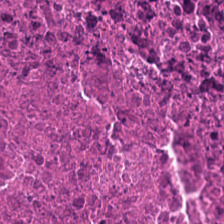Stain: H&E stain.
Tissue: debris.
